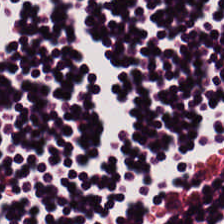Hematoxylin and eosin.
This patch shows lymphocyte aggregate.
